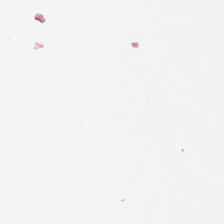WSI patch. 224×224 px tile. H&E-stained tissue section.
No tissue present; background only.
